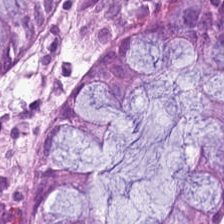H&E stain — The predominant tissue is benign colonic mucosa.
